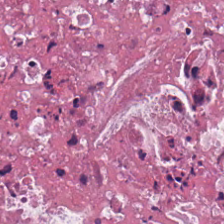{"tissue_type": "necrotic debris"}
